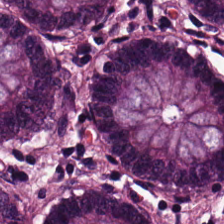0.5 µm/px. Hematoxylin and eosin — Tissue type = normal colon mucosa.
